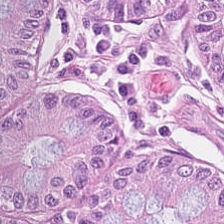Hematoxylin-and-eosin stained section. Finding → normal colonic mucosa.
